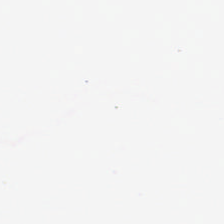Background — no tissue in this field.
